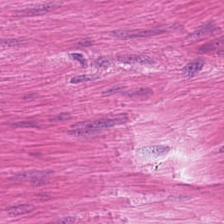224×224 px tile. Hematoxylin-and-eosin stained section. Formalin-fixed paraffin-embedded section. Tissue: muscularis.
